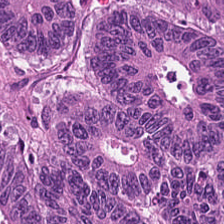Stain: hematoxylin-and-eosin stained section.
Acquisition: whole-slide-image patch.
Tissue type: colorectal adenocarcinoma.
